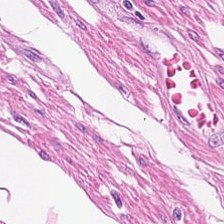0.5 microns per pixel · H&E-stained tissue section.
{"tissue_type": "muscularis"}
